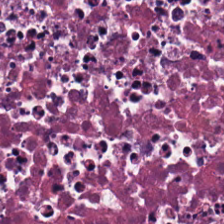Predominant tissue — cellular debris.
